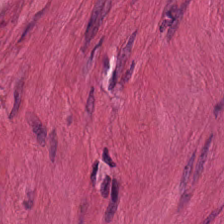Whole-slide-image patch · H&E. This patch shows smooth muscle.
